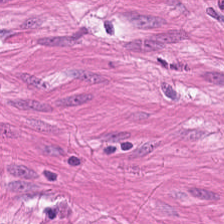FFPE tissue section. H&E-stained tissue section.
Predominantly smooth-muscle tissue.
